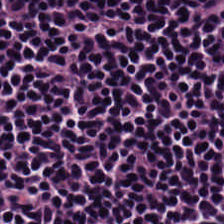H&E-stained tissue section; FFPE tissue section.
The predominant tissue is lymphoid infiltrate.
